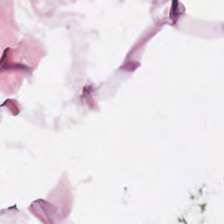FFPE tissue section. H&E — Q: What is the predominant tissue type?
A: The field shows adipose tissue.
